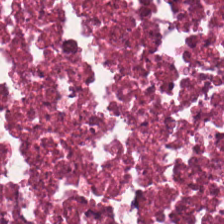224×224 px patch · hematoxylin-and-eosin stained section — Predominant tissue = debris.
